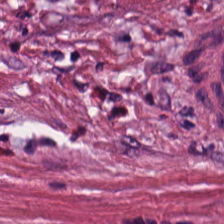224×224 px patch · FFPE tissue section · H&E.
This patch shows cancer-associated stroma.
